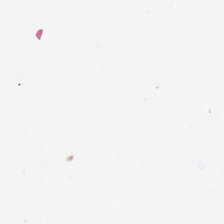Brightfield microscopy · hematoxylin and eosin. The content is no tissue.
